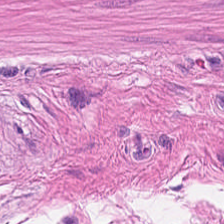Hematoxylin-and-eosin stained section; formalin-fixed paraffin-embedded section; brightfield microscopy.
Smooth muscle.
